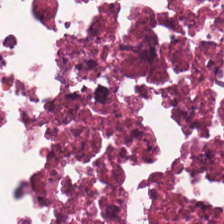H&E stain. Histology — debris.
